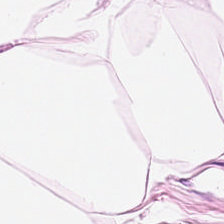Classification — adipose tissue.
